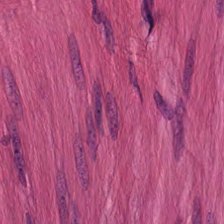H&E. 0.5 µm/px. Impression → muscularis.
